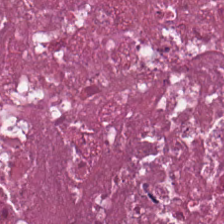H&E stain · 0.5 microns per pixel · 224×224 px patch — Q: What is shown in this field?
A: This is debris.
